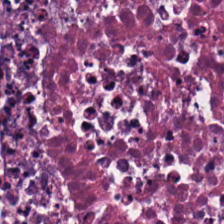H&E stain.
Q: What does this patch show?
A: This is necrotic debris.
